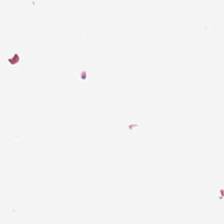H&E. Q: What is shown here?
A: This is background.
